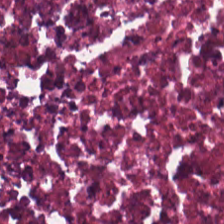Stain: hematoxylin-and-eosin stained section.
Tissue type: necrotic debris.
